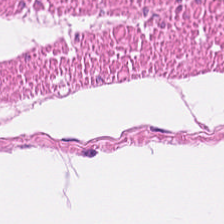Stain: H&E-stained tissue section.
Classification: smooth muscle.
